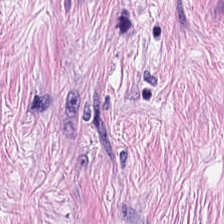Hematoxylin-and-eosin stained section · 224×224 pixel tile.
The tissue here is tumor stroma.
